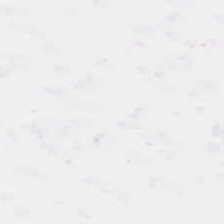Stain: H&E.
Classification: background.
